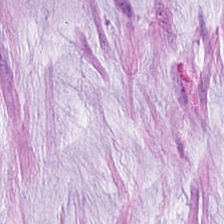Hematoxylin-and-eosin stained section — Impression — extracellular mucin.
